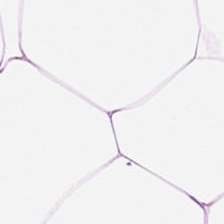Histology — adipocytes.
